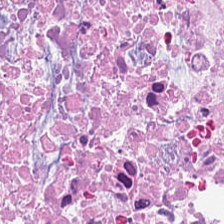Q: What tissue type is shown here?
A: Cellular debris.
